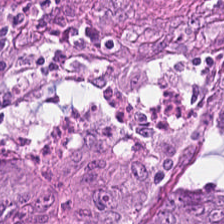H&E-stained tissue section. WSI patch. 224×224 px patch.
Tissue class = colorectal adenocarcinoma epithelium.
